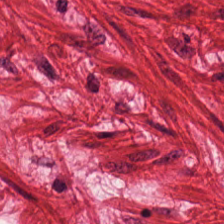H&E-stained tissue section. {"tissue_type": "smooth muscle"}
